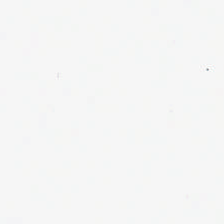0.5 microns per pixel. Brightfield. H&E-stained tissue section.
Impression → empty background.
